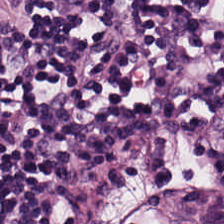224×224 px patch · hematoxylin and eosin — Showing lymphocytic infiltrate.
